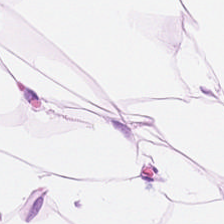Hematoxylin and eosin — This field is adipose tissue.
